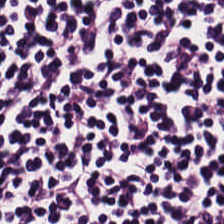Hematoxylin and eosin — This patch shows lymphoid infiltrate.
